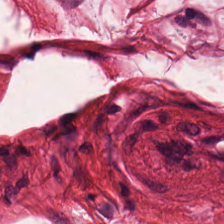Stain: H&E.
Acquisition: WSI patch.
Tissue class: muscularis.
